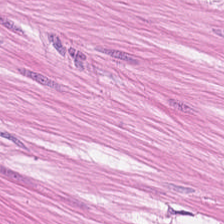FFPE tissue section; H&E — Finding → muscularis.
